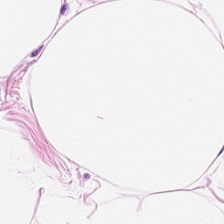H&E. {"tissue_type": "adipose"}
